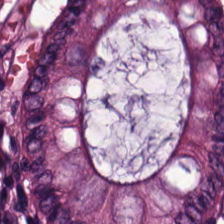Hematoxylin-and-eosin stained section. Finding — normal colonic mucosa.
